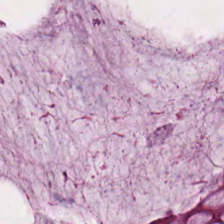H&E stain.
Predominantly benign colonic mucosa.
